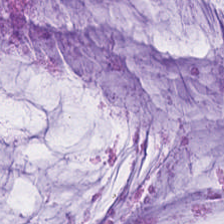FFPE tissue section · hematoxylin and eosin. {"tissue_type": "mucin"}
